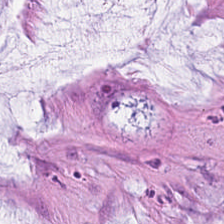Q: What tissue type is shown here?
A: The field shows extracellular mucin.
